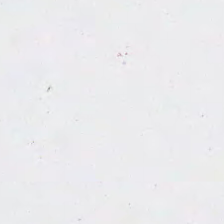Hematoxylin and eosin — Q: What does this patch show?
A: It is no tissue.
